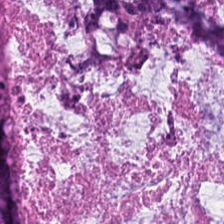224×224 px tile; H&E. Finding → mucus.
